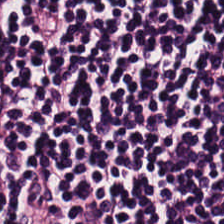H&E-stained tissue section — Impression — lymphocytic infiltrate.
